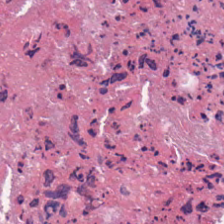H&E.
The predominant tissue is cellular debris.
